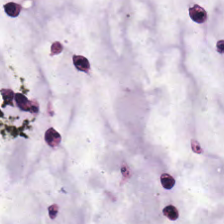Mucin.
